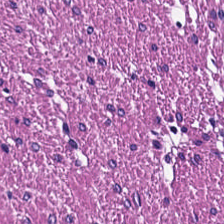H&E-stained tissue section. The tissue here is muscularis.
